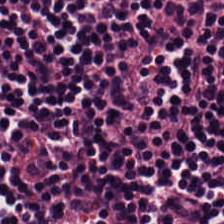Stain: H&E.
Preparation: FFPE.
Classification: lymphocytic infiltrate.
